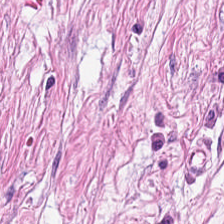Stain: H&E stain.
Tissue type: cancer-associated stroma.
